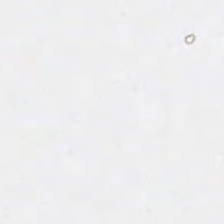Brightfield microscopy · H&E-stained tissue section. This field is background (no tissue).
